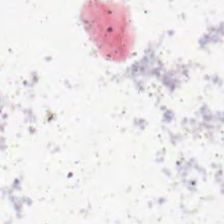Field content = background (no tissue).
